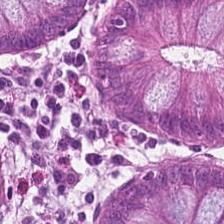H&E. Histology — normal colon mucosa.
